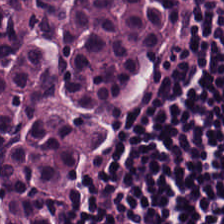H&E-stained tissue section · 224×224 px patch.
Predominant tissue — lymphoid infiltrate.
